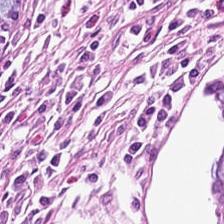Hematoxylin and eosin.
The predominant tissue is benign colonic mucosa.
